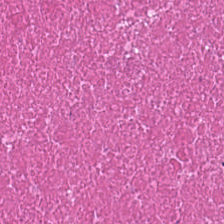Classification: necrotic debris.
